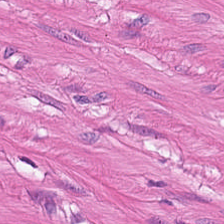H&E stain.
{"tissue_type": "smooth muscle"}
